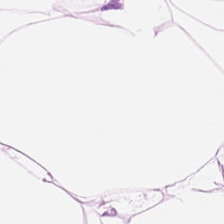Hematoxylin-and-eosin stained section. Predominant tissue — adipose tissue.
